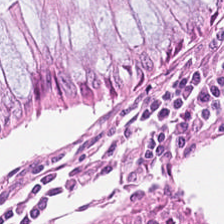H&E-stained tissue section. Q: What tissue is shown?
A: The field shows benign colonic mucosa.
